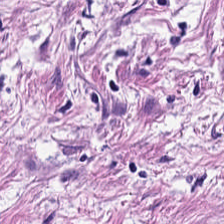Hematoxylin and eosin; 0.5 µm per pixel — Impression → desmoplastic stroma.
